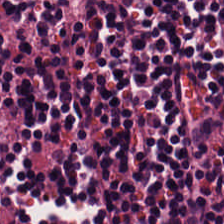H&E-stained tissue section. 224×224 px patch — Q: What type of tissue is this?
A: It is lymphoid infiltrate.
